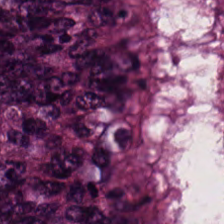H&E-stained tissue section. 224×224 pixel tile. {"tissue_type": "adenocarcinoma"}
